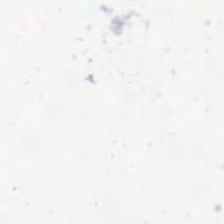Empty field — background (no tissue).
